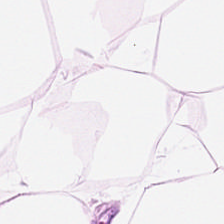H&E · 224×224 px patch.
Tissue type: adipocytes.
